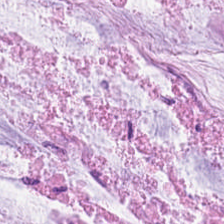Mucin.
